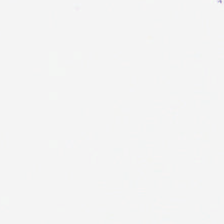H&E. Background — no tissue in this field.
